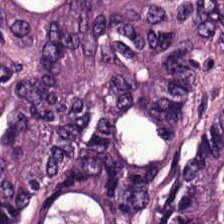The tissue class is colorectal adenocarcinoma.
